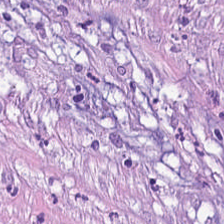Hematoxylin and eosin.
The predominant tissue is tumor-associated stroma.
